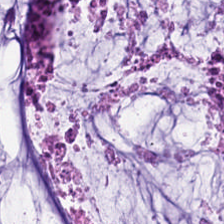Whole-slide-image patch; H&E-stained tissue section — Q: What is the predominant tissue type?
A: This is mucus.
